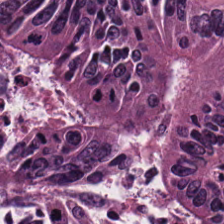H&E stain; 0.5 µm per pixel.
Q: What tissue is shown?
A: Adenocarcinoma.
